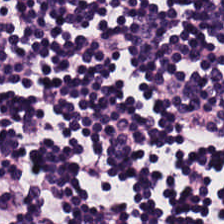Hematoxylin-and-eosin stained section; brightfield — Q: What is shown here?
A: This is lymphocytes.
